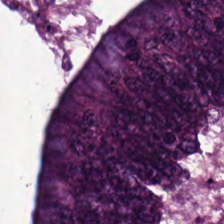H&E-stained tissue section. Finding — tumor epithelium.
